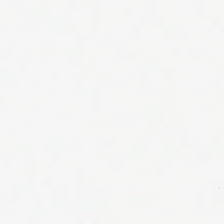Hematoxylin and eosin; WSI patch — No tissue present; background only.
